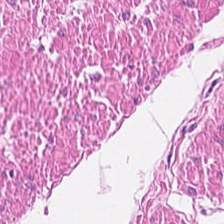H&E stain — Showing smooth-muscle tissue.
